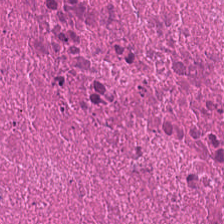H&E stain — Q: What type of tissue is this?
A: The field shows necrotic debris.
